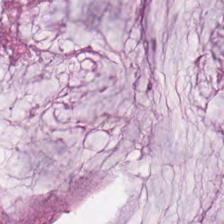Brightfield microscopy. H&E. 224×224 pixel tile — Tissue = mucus.
